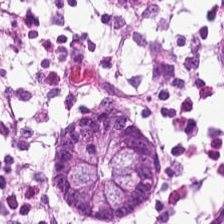Hematoxylin-and-eosin stained section.
The predominant tissue is normal colonic mucosa.
